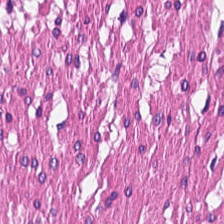Predominant tissue: smooth-muscle tissue.
